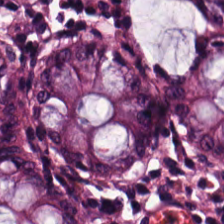224×224 px tile · 0.5 µm/px · H&E-stained tissue section.
Benign colonic mucosa.
